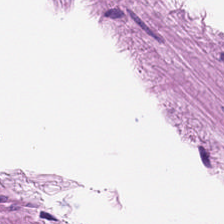H&E. 0.5 µm per pixel. FFPE tissue section. Q: What is the predominant tissue type?
A: This is smooth muscle.
